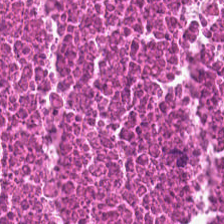H&E-stained tissue section.
Predominant tissue: cellular debris.
